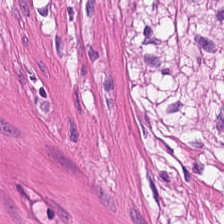0.5 µm/px. H&E — Classification: muscularis.
